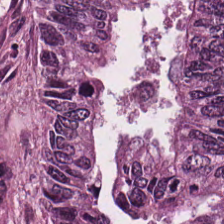224×224 px tile; brightfield; hematoxylin-and-eosin stained section.
Showing adenocarcinoma.
